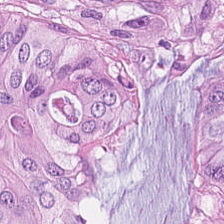This patch shows tumor epithelium.
